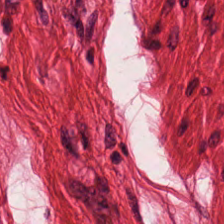224×224 pixel tile; H&E; whole-slide-image patch.
Histology — smooth muscle.
